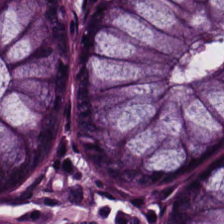H&E — This patch shows normal colonic mucosa.
